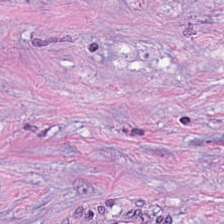FFPE tissue section · H&E-stained tissue section · 224×224 pixel tile — Histology — desmoplastic stroma.
